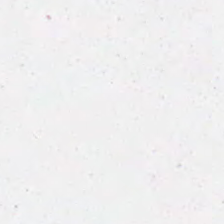Brightfield microscopy; FFPE; hematoxylin and eosin. Classification: background (no tissue).
